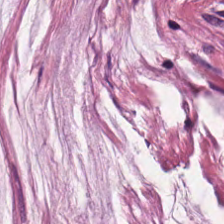Predominant tissue: mucin.
